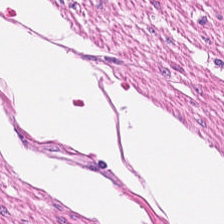H&E-stained tissue section.
Q: What tissue is shown?
A: Muscularis.
